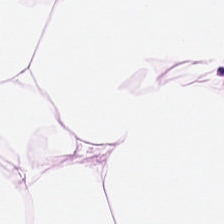Hematoxylin and eosin; 20× equivalent magnification; whole-slide-image patch — The predominant tissue is adipocytes.
